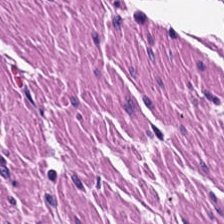H&E stain — Showing smooth muscle.
